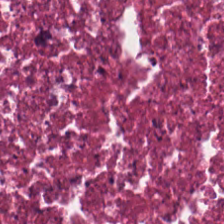FFPE; 0.5 µm/px; H&E-stained tissue section.
Debris.
